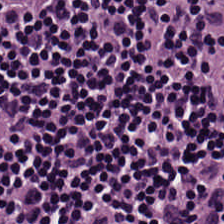Tissue = lymphocyte aggregate.
